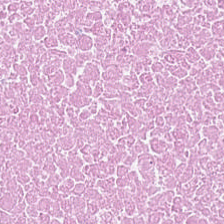H&E · FFPE tissue section.
Predominant tissue — cellular debris.
